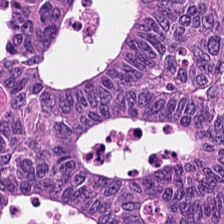Hematoxylin-and-eosin stained section. Histology → adenocarcinoma.
